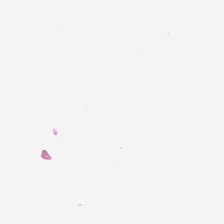H&E stain · formalin-fixed paraffin-embedded section · 0.5 µm/px.
Empty field — background.
